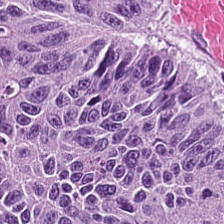H&E.
This patch shows adenocarcinoma.
